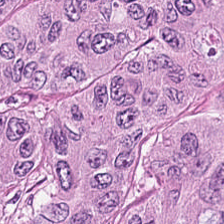Finding — colorectal adenocarcinoma.
